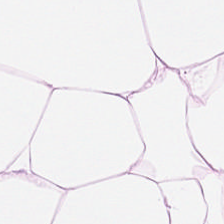224×224 px tile · hematoxylin and eosin.
Showing adipose tissue.
